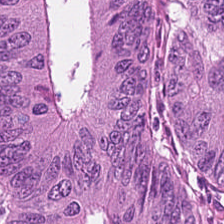Hematoxylin and eosin · FFPE tissue section.
Adenocarcinoma.
